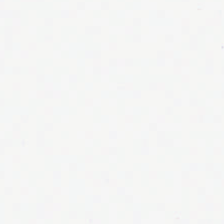H&E-stained tissue section; 224×224 px tile. {"content": "background"}
